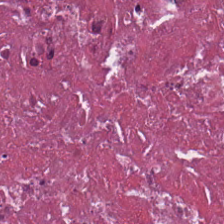Hematoxylin and eosin — Predominantly necrotic debris.
